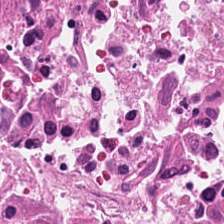H&E stain.
Cellular debris.
